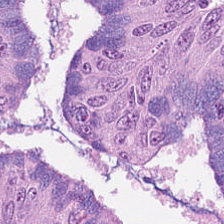H&E-stained tissue section · 20× equivalent magnification.
The tissue type is tumor epithelium.
